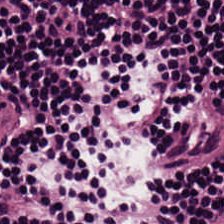FFPE tissue section · hematoxylin-and-eosin stained section · 224×224 px patch.
Showing lymphocytic infiltrate.
